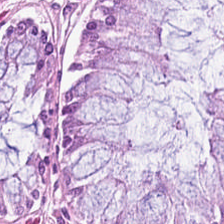Stain: H&E.
Preparation: FFPE tissue section.
Tissue class: non-neoplastic colon mucosa.
